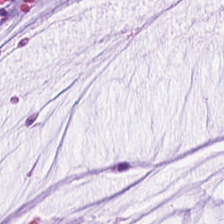H&E stain. Showing mucus.
